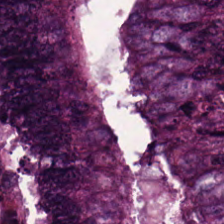Hematoxylin and eosin — Showing adenocarcinoma.
